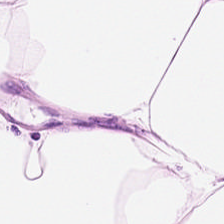Stain: hematoxylin and eosin.
Tissue type: adipose tissue.
